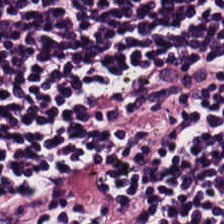H&E; WSI patch. {"tissue_type": "lymphocyte aggregate"}
